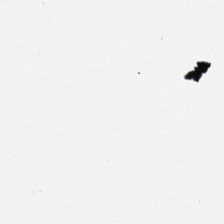H&E.
Background — no tissue in this field.
